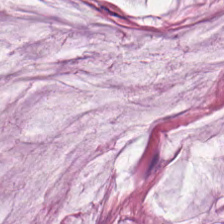Hematoxylin-and-eosin stained section · 224×224 px patch.
Impression → extracellular mucin.
